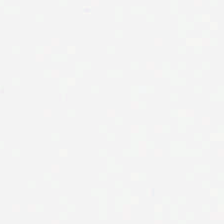H&E · whole-slide-image patch — Background.
